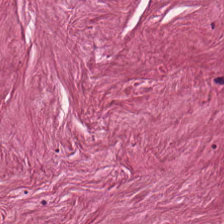This field is tumor stroma.
